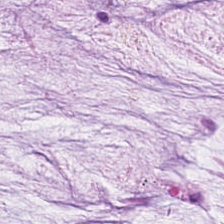H&E-stained tissue section · 224×224 px patch. The predominant tissue is mucus.
